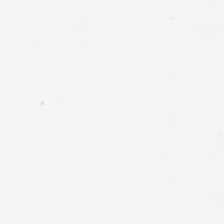20× equivalent magnification · FFPE · hematoxylin and eosin.
The content is empty background.
